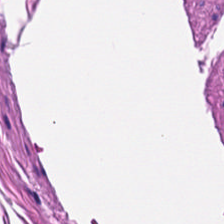Hematoxylin and eosin; 20× equivalent magnification.
The tissue here is smooth muscle.
